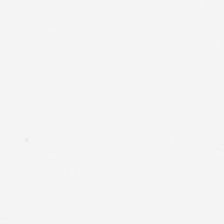H&E.
Empty background.
